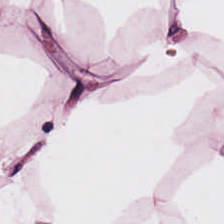Brightfield; H&E stain.
This field is fat tissue.
